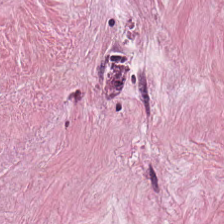Impression — tumor-associated stroma.
